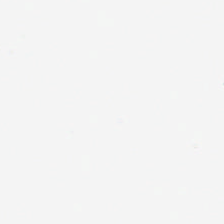Whole-slide-image patch. Hematoxylin and eosin.
Classification = no tissue.
